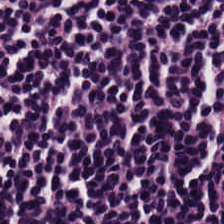The tissue here is lymphoid infiltrate.
